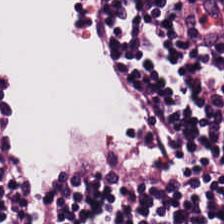Classification — lymphocytic infiltrate.
